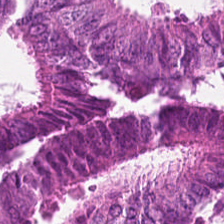H&E-stained tissue section — Histology → malignant epithelium.
